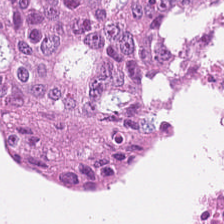Hematoxylin and eosin.
This patch shows necrotic debris.
